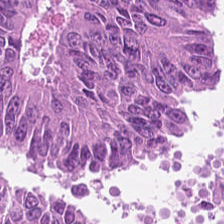H&E — Q: What is the predominant tissue type?
A: Adenocarcinoma.
